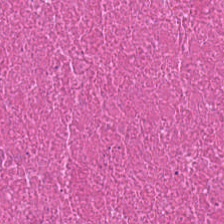Hematoxylin and eosin — Q: What is the predominant tissue type?
A: This is debris.
